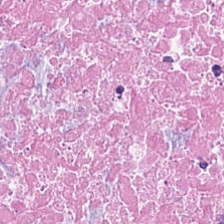H&E-stained tissue section — The predominant tissue is cellular debris.
